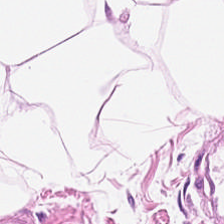Hematoxylin-and-eosin stained section. This field is adipose.
